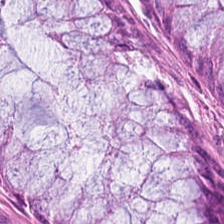224×224 pixel tile. 0.5 µm/px. H&E stain — Classification — non-neoplastic colon mucosa.
